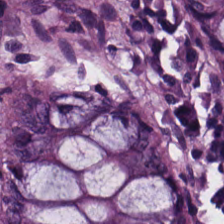Hematoxylin and eosin; 224×224 px patch — Predominant tissue: normal colonic mucosa.
